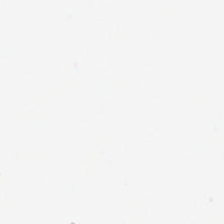H&E stain — Q: What is shown in this field?
A: This is background.
